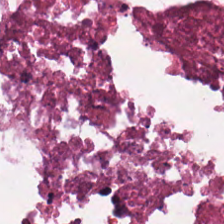H&E-stained tissue section.
Showing debris.
